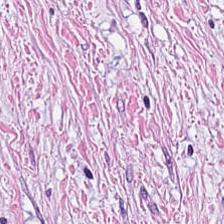H&E-stained tissue section. This field is cancer-associated stroma.
